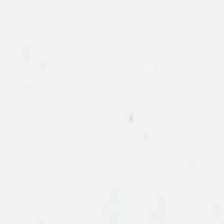H&E stain — Content = empty background.
